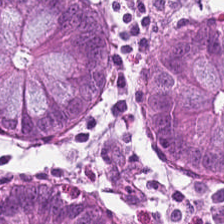Stain: H&E stain.
Classification: benign colonic mucosa.
